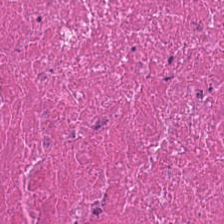224×224 px tile. 20× equivalent magnification. Hematoxylin and eosin. The tissue here is debris.
